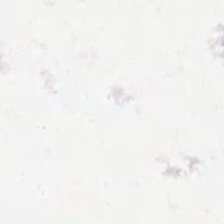Stain: hematoxylin and eosin.
Preparation: formalin-fixed paraffin-embedded section.
Resolution: 0.5 microns per pixel.
Field content: background.
